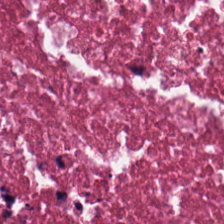WSI patch; H&E.
Predominantly cellular debris.
